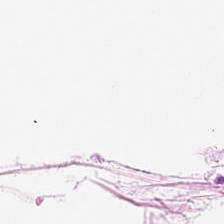H&E stain.
Adipose.
